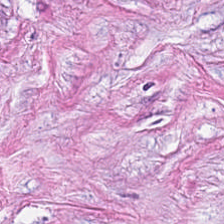H&E-stained tissue section — The tissue here is cancer-associated stroma.
